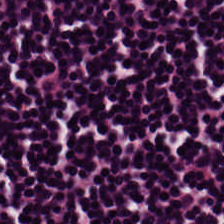H&E · 20× equivalent magnification. Tissue class: lymphoid infiltrate.
